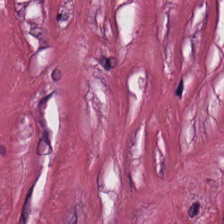H&E stain.
This field is cancer-associated stroma.
